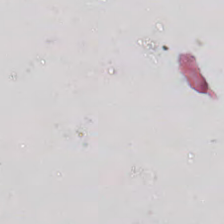The content is background (no tissue).
